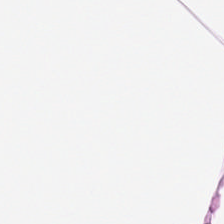Whole-slide-image patch; H&E.
Fat tissue.
